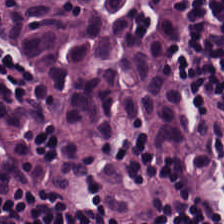The predominant tissue is lymphoid infiltrate.
